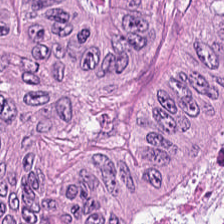This patch shows adenocarcinoma.
